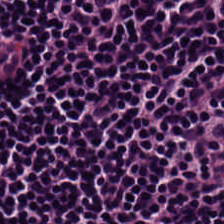Hematoxylin-and-eosin stained section. Lymphocyte aggregate.
